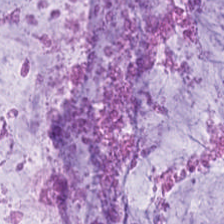Q: What is the predominant tissue type?
A: It is extracellular mucin.
